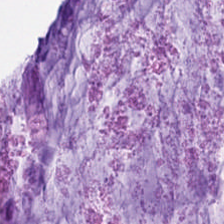H&E stain. 224×224 pixel tile.
Tissue class — mucin.
